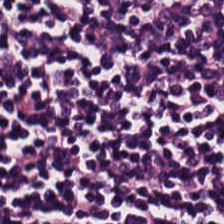Hematoxylin-and-eosin stained section. The predominant tissue is lymphocytic infiltrate.
